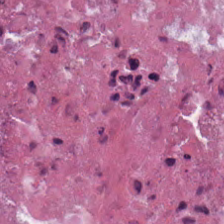0.5 µm/px; H&E stain; 224×224 pixel tile. The predominant tissue is necrotic debris.
